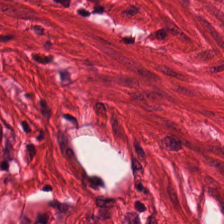Hematoxylin-and-eosin stained section.
Q: What type of tissue is this?
A: This is muscularis.
